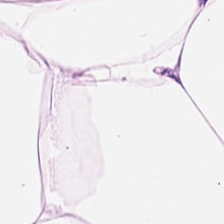H&E stain — Impression — adipose.
